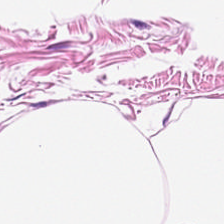H&E-stained tissue section · whole-slide-image patch · FFPE. This patch shows adipose.
